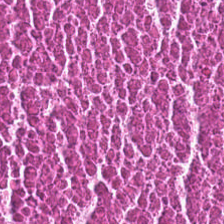Brightfield microscopy; H&E-stained tissue section.
Cellular debris.
